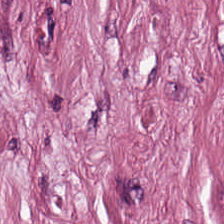Hematoxylin and eosin. 224×224 px tile.
Showing tumor stroma.
